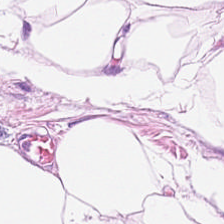H&E — Tissue type = adipose.
